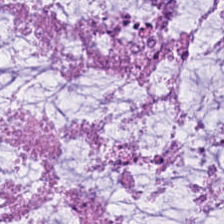Hematoxylin and eosin. This field is mucin.
